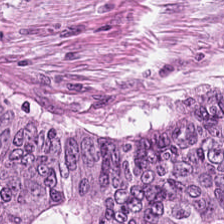H&E-stained tissue section — Predominant tissue: adenocarcinoma.
